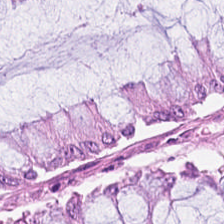H&E stain — Q: Classify this patch.
A: This is non-neoplastic colon mucosa.
